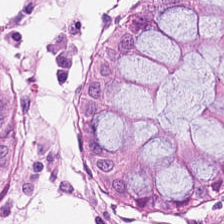H&E-stained tissue section.
Tissue: normal colon mucosa.
